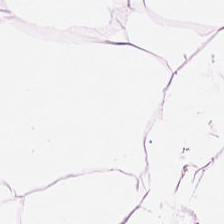20× equivalent magnification; hematoxylin and eosin.
Predominantly fat tissue.
